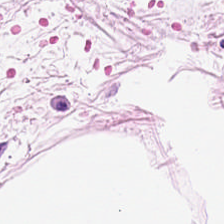H&E-stained tissue section; WSI patch.
The tissue class is adipose tissue.
